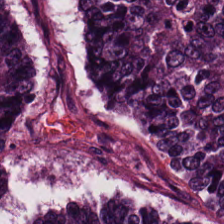Brightfield microscopy. H&E. 224×224 pixel tile.
Showing colorectal adenocarcinoma epithelium.
